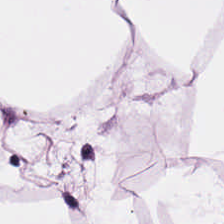Hematoxylin and eosin · 224×224 px tile.
The tissue is adipose tissue.
